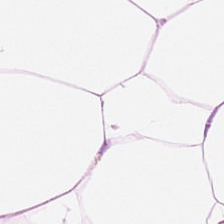H&E-stained tissue section; formalin-fixed paraffin-embedded section; brightfield microscopy — Impression → adipocytes.
